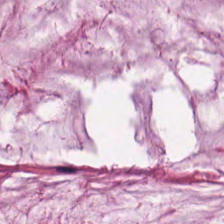Q: Identify the tissue.
A: The field shows extracellular mucin.
